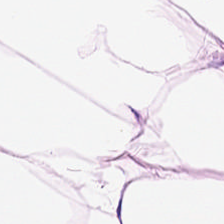H&E. Predominant tissue: fat tissue.
